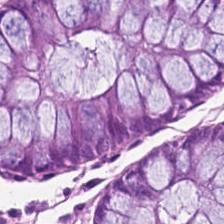H&E stain; 224×224 pixel tile — Normal colon mucosa.
